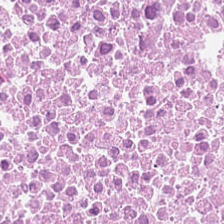H&E. Tissue — necrotic debris.
